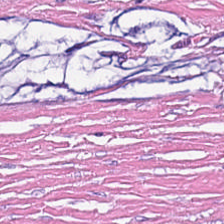Stain: H&E-stained tissue section.
Preparation: FFPE.
Tissue type: desmoplastic stroma.
